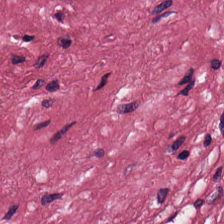Hematoxylin-and-eosin stained section — Cancer-associated stroma.
